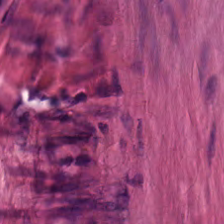FFPE; 224×224 px patch; H&E.
This patch shows smooth muscle.
